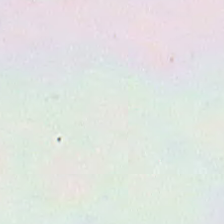H&E-stained tissue section — This field is background (no tissue).
